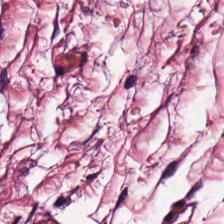Tissue class = tumor-associated stroma.
